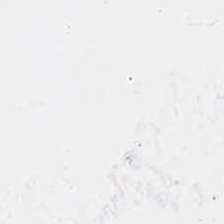No tissue present; background only.
